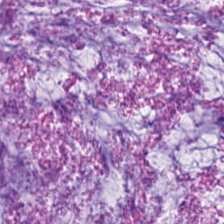This field is mucus.
